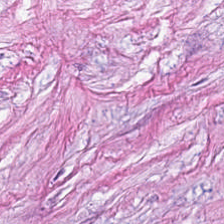Hematoxylin and eosin · FFPE tissue section. Q: Classify this patch.
A: Tumor stroma.
